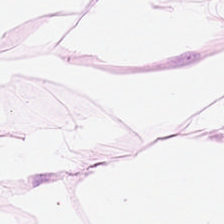The classification is fat tissue.
